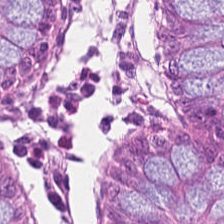0.5 µm per pixel · hematoxylin and eosin.
Normal colonic mucosa.
